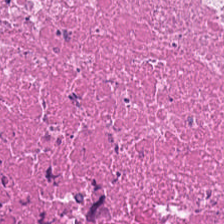Formalin-fixed paraffin-embedded section; H&E-stained tissue section. The classification is cellular debris.
